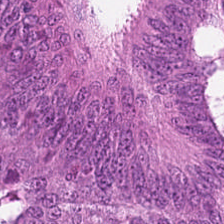H&E — Predominant tissue: malignant epithelium.
